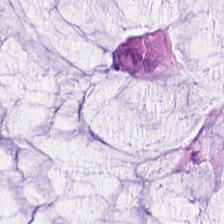Stain: H&E-stained tissue section.
Tissue: mucus.
